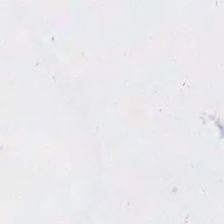Hematoxylin-and-eosin stained section; whole-slide-image patch.
This patch shows empty background.
